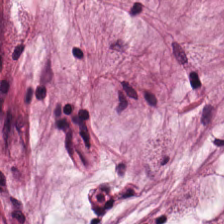Hematoxylin-and-eosin stained section · brightfield · formalin-fixed paraffin-embedded section — Classification — extracellular mucin.
